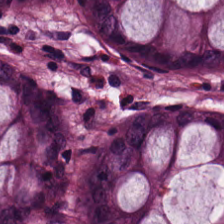Showing normal colonic mucosa.
